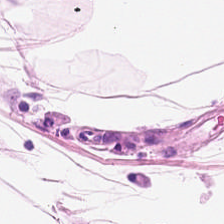H&E stain · 224×224 pixel tile.
Impression — adipocytes.
